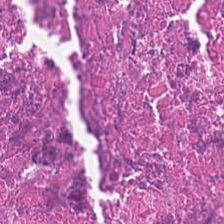H&E; 0.5 microns per pixel — This patch shows necrotic debris.
